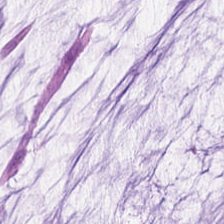Hematoxylin-and-eosin stained section. Tissue = mucin.
